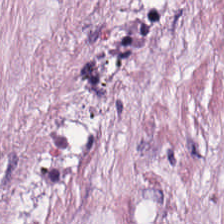Stain: H&E.
Classification: tumor-associated stroma.
